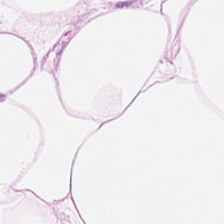224×224 pixel tile; H&E. Predominant tissue — adipocytes.
